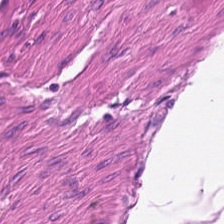The tissue here is smooth muscle.
